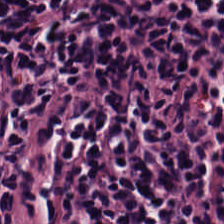Q: What is the predominant tissue type?
A: Lymphocyte aggregate.
